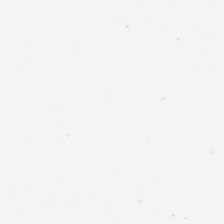Impression — background.
